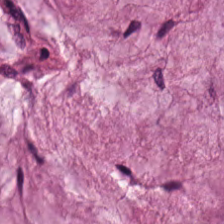Hematoxylin-and-eosin stained section.
Predominant tissue = mucus.
